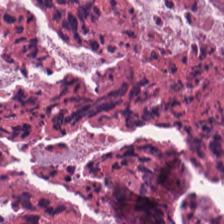224×224 pixel tile; H&E-stained tissue section. Predominant tissue = necrotic debris.
